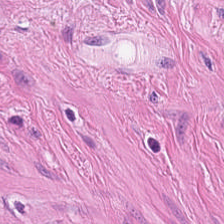Hematoxylin-and-eosin stained section. Whole-slide-image patch.
Tissue: muscularis.
